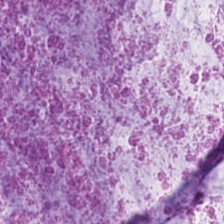224×224 px tile. FFPE tissue section. H&E stain — Showing mucus.
